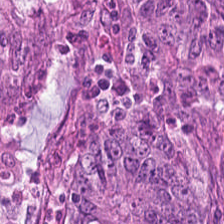Impression → colorectal adenocarcinoma epithelium.
